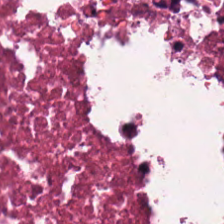Whole-slide-image patch; hematoxylin and eosin — Q: What is the predominant tissue type?
A: This is debris.
